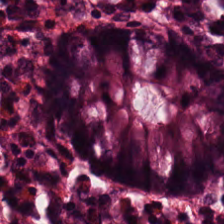Hematoxylin-and-eosin stained section · 20× equivalent magnification. Tissue — non-neoplastic colon mucosa.
